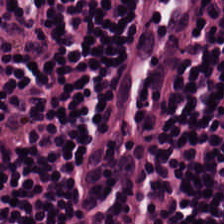{"tissue_type": "lymphocytic infiltrate"}
